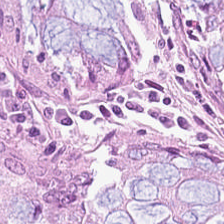The tissue is non-neoplastic colon mucosa.
